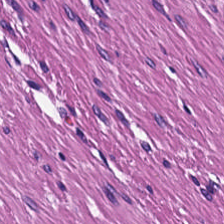Hematoxylin-and-eosin stained section. 0.5 µm per pixel. {"tissue_type": "smooth muscle"}
